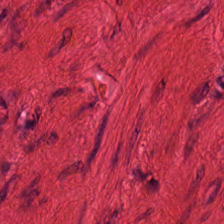0.5 µm per pixel · H&E-stained tissue section · FFPE.
Showing smooth-muscle tissue.
